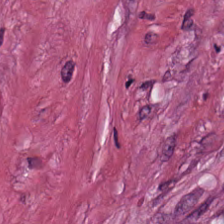Hematoxylin and eosin.
The tissue here is tumor-associated stroma.
